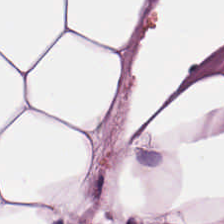H&E; FFPE — {"tissue_type": "adipose tissue"}
